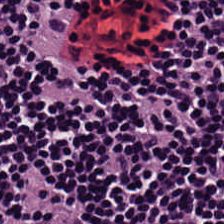Hematoxylin and eosin.
Q: Identify the tissue.
A: This is lymphocytic infiltrate.
